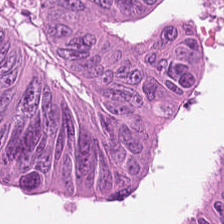H&E stain · brightfield — Adenocarcinoma.
